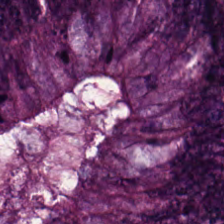H&E-stained tissue section; 224×224 px patch — This patch shows tumor epithelium.
